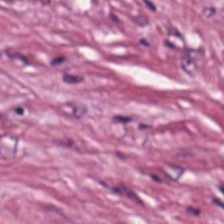Hematoxylin-and-eosin stained section. Tumor stroma.
